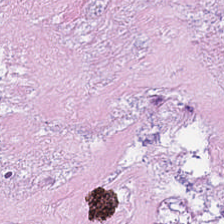Finding → cellular debris.
